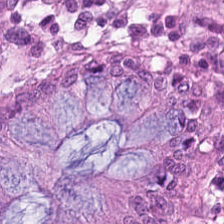Hematoxylin-and-eosin stained section — Tissue type: benign colonic mucosa.
